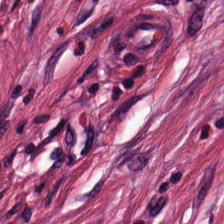H&E stain.
Tissue type — tumor stroma.
